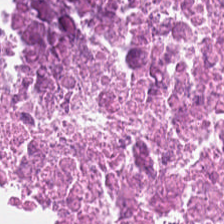Classification: debris.
